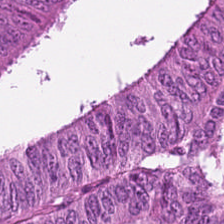Hematoxylin-and-eosin stained section — Q: What is shown in this field?
A: The field shows malignant epithelium.
